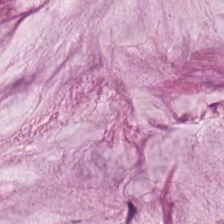Finding — extracellular mucin.
